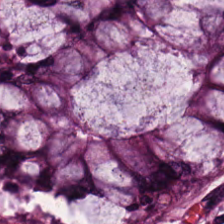0.5 µm/px; hematoxylin and eosin.
Predominant tissue — non-neoplastic colon mucosa.
